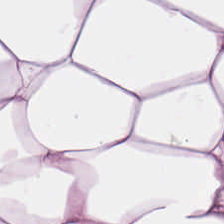H&E-stained tissue section — Showing fat tissue.
